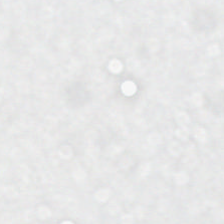FFPE. Hematoxylin-and-eosin stained section. WSI patch.
This patch shows background (no tissue).
